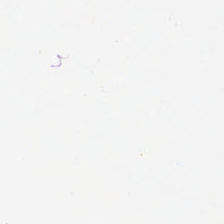Impression — background (no tissue).
